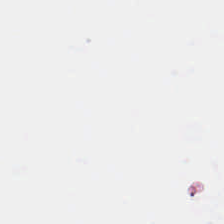Hematoxylin-and-eosin stained section. Content = background (no tissue).
